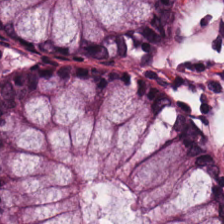Stain: H&E-stained tissue section.
Tissue class: normal colonic mucosa.
